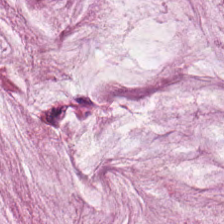The tissue is mucus.
